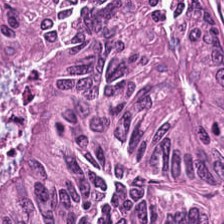Q: What is the predominant tissue type?
A: This is colorectal adenocarcinoma epithelium.
